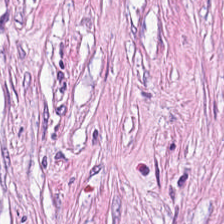Stain: H&E stain.
Tile size: 224×224 px patch.
Tissue class: cancer-associated stroma.
